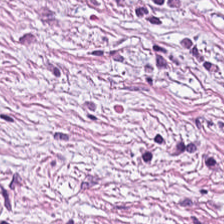Hematoxylin and eosin — Cancer-associated stroma.
